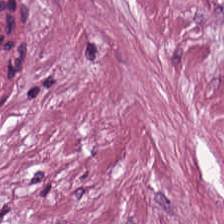{"tissue_type": "desmoplastic stroma"}
